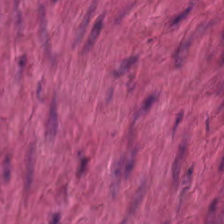224×224 pixel tile; hematoxylin-and-eosin stained section. Predominantly smooth-muscle tissue.
